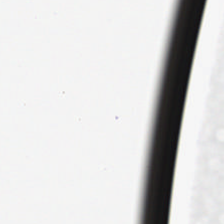Hematoxylin-and-eosin stained section. Empty field — background (no tissue).
